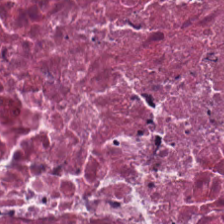H&E stain.
Cellular debris.
